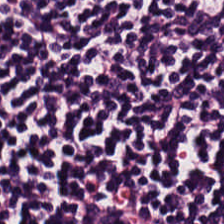FFPE; H&E-stained tissue section — Tissue class — lymphocytic infiltrate.
